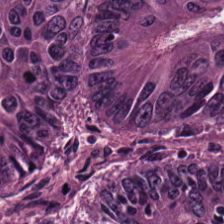Stain: hematoxylin and eosin.
Preparation: formalin-fixed paraffin-embedded section.
Tissue: tumor epithelium.
